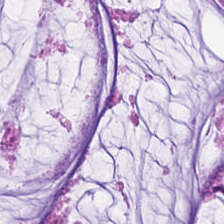FFPE tissue section; hematoxylin-and-eosin stained section — Q: What is the predominant tissue type?
A: This is mucus.
